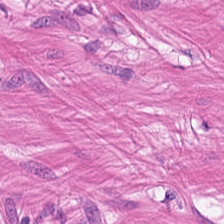FFPE · hematoxylin and eosin — Smooth-muscle tissue.
